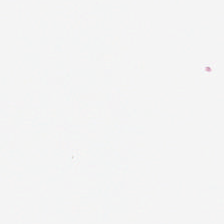H&E-stained tissue section — Impression → background.
